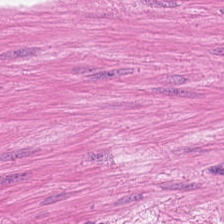H&E-stained tissue section — Q: Identify the tissue.
A: It is muscularis.
